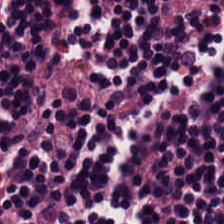Hematoxylin-and-eosin stained section. 0.5 µm/px.
This field is lymphoid infiltrate.
